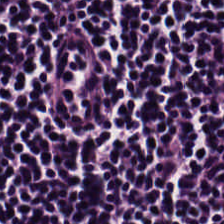Q: What type of tissue is this?
A: The field shows lymphocytic infiltrate.
